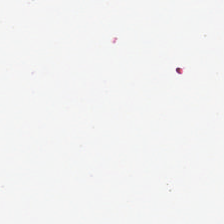Hematoxylin and eosin. Q: What is shown in this field?
A: It is background (no tissue).
